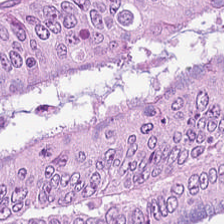Stain: H&E stain.
Tissue class: colorectal adenocarcinoma.
